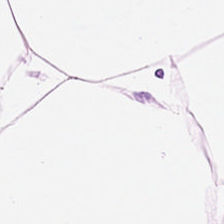Adipose tissue.
